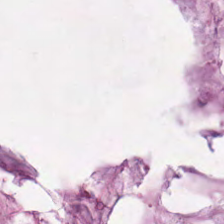Hematoxylin-and-eosin stained section — Q: What tissue is shown?
A: It is extracellular mucin.
